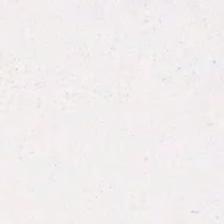Hematoxylin and eosin · brightfield — Tissue class: extracellular mucin.
